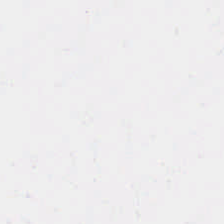H&E-stained tissue section.
Content = no tissue.
